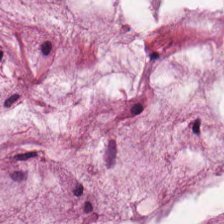20× equivalent magnification · H&E stain.
The tissue here is mucus.
